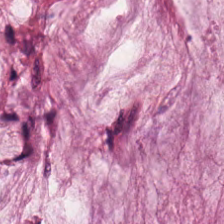H&E stain.
Impression → extracellular mucin.
